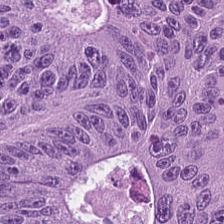H&E · FFPE · 0.5 µm/px. The predominant tissue is malignant epithelium.
